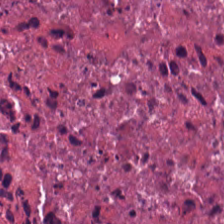FFPE tissue section; hematoxylin and eosin; 224×224 px tile — Q: What is the predominant tissue type?
A: It is cellular debris.
